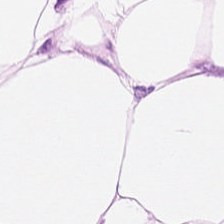224×224 px tile · H&E stain. Histology → adipose.
